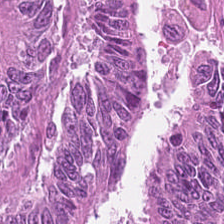0.5 microns per pixel. Hematoxylin-and-eosin stained section.
Q: What is shown in this field?
A: It is colorectal adenocarcinoma.
